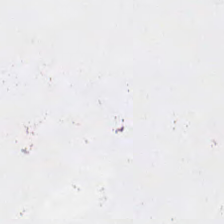Hematoxylin-and-eosin stained section — {"content": "empty background"}
